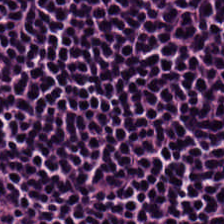Hematoxylin and eosin · FFPE.
This field is lymphocytic infiltrate.
